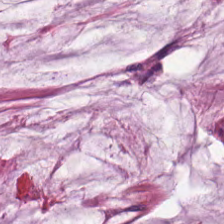H&E-stained tissue section.
Predominant tissue: mucin.
